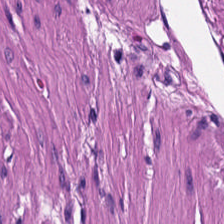H&E-stained tissue section. Q: What does this patch show?
A: Smooth-muscle tissue.
